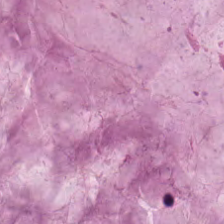Q: What type of tissue is this?
A: This is mucin.
